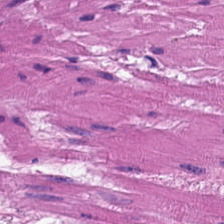{"tissue_type": "muscularis"}
